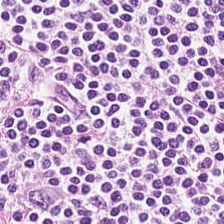H&E. This field is lymphoid infiltrate.
